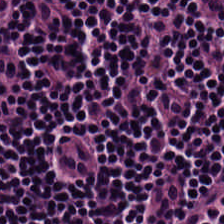H&E stain. This patch shows lymphoid infiltrate.
